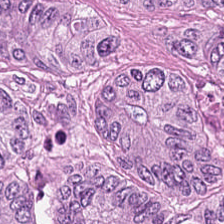H&E — Tissue type = adenocarcinoma.
